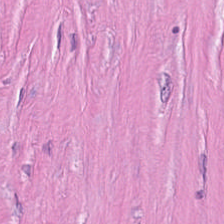Tissue type — tumor-associated stroma.
